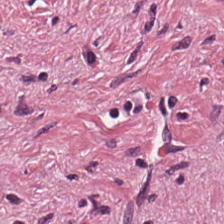H&E-stained tissue section.
Tissue class — tumor stroma.
